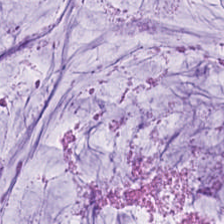H&E — Tissue type: extracellular mucin.
